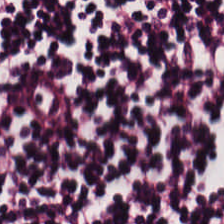The tissue here is lymphocytic infiltrate.
